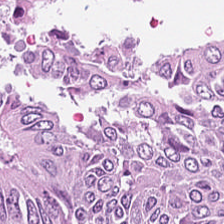H&E-stained tissue section. Showing tumor epithelium.
